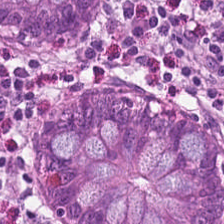Hematoxylin-and-eosin stained section — Q: What type of tissue is this?
A: The field shows normal colon mucosa.
